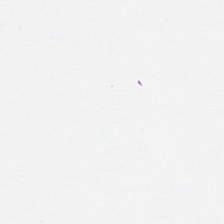H&E-stained tissue section · 0.5 µm per pixel.
Empty field — background (no tissue).
